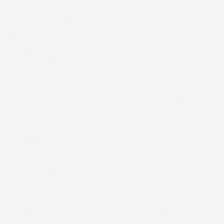224×224 px tile · hematoxylin and eosin · 0.5 µm/px — {"content": "no tissue"}
